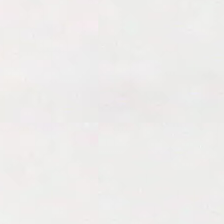Hematoxylin and eosin.
Field content — no tissue.
